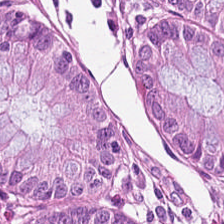Stain: H&E stain.
Predominant tissue: normal colonic mucosa.
